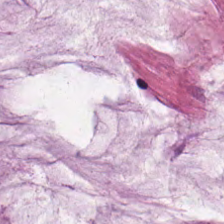224×224 pixel tile; FFPE tissue section; hematoxylin and eosin.
Showing mucin.
